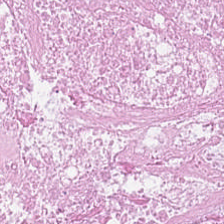Stain: hematoxylin and eosin.
Tissue type: debris.
